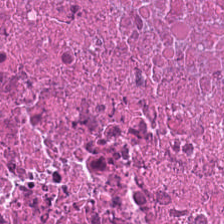Stain: H&E.
Tile size: 224×224 px tile.
Tissue type: debris.
